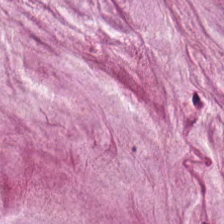Showing extracellular mucin.
